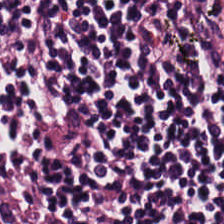224×224 px tile · hematoxylin and eosin — Predominantly lymphoid infiltrate.
